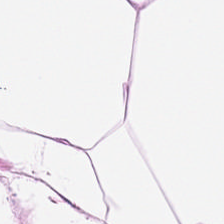H&E stain · whole-slide-image patch.
Impression → adipose tissue.
